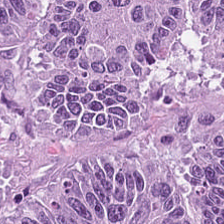H&E. Histology → tumor epithelium.
